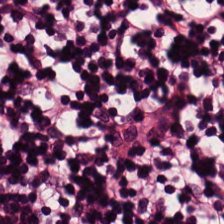20× equivalent magnification. FFPE. Hematoxylin-and-eosin stained section — Tissue class = lymphocytic infiltrate.
